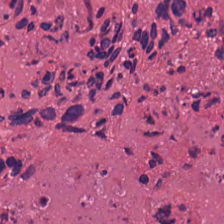20× equivalent magnification · hematoxylin and eosin.
Predominant tissue = cellular debris.
